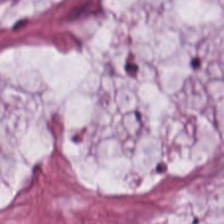{"tissue_type": "mucin"}
